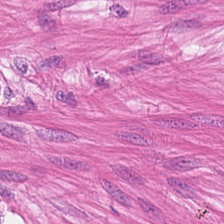WSI patch · 20× equivalent magnification · H&E.
Impression — muscularis.
